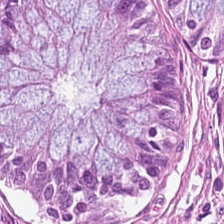20× equivalent magnification · H&E-stained tissue section. Predominantly normal colonic mucosa.
